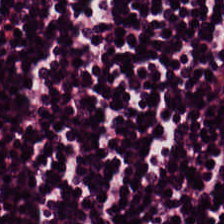H&E stain · whole-slide-image patch. Q: What type of tissue is this?
A: The field shows lymphocytic infiltrate.
